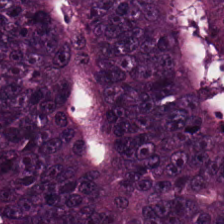The tissue class is malignant epithelium.
